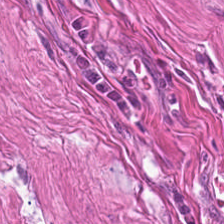H&E-stained tissue section.
Q: What is shown here?
A: The field shows smooth-muscle tissue.
